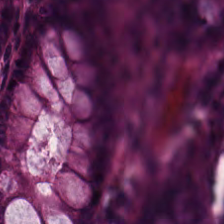224×224 pixel tile. H&E stain.
Showing normal colon mucosa.
